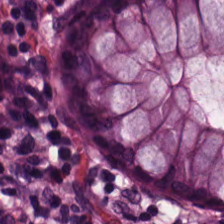Hematoxylin and eosin — The tissue here is benign colonic mucosa.
